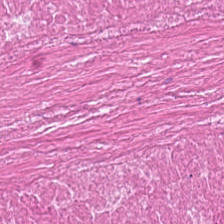H&E stain. Brightfield — Predominantly necrotic debris.
